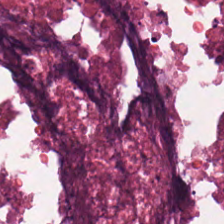H&E-stained tissue section showing debris.
